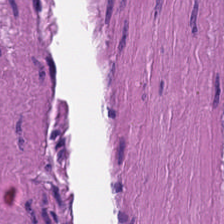H&E — Tissue class = muscularis.
